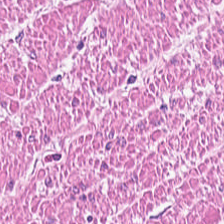H&E stain — Impression — smooth-muscle tissue.
